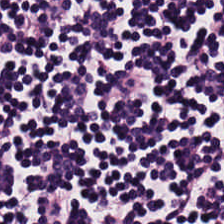{"tissue_type": "lymphocyte aggregate"}
